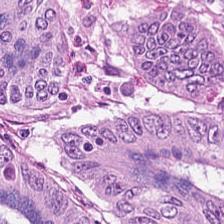H&E.
This patch shows tumor epithelium.
